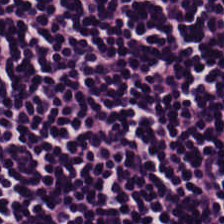Hematoxylin-and-eosin stained section · brightfield microscopy — The tissue here is lymphocyte aggregate.
